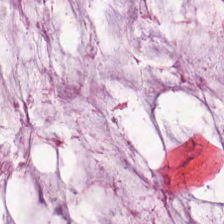224×224 pixel tile · H&E · FFPE tissue section — Showing mucus.
